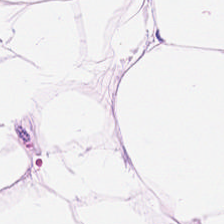Hematoxylin-and-eosin stained section.
This patch shows adipose tissue.
